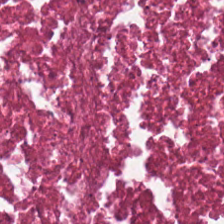Hematoxylin and eosin — Classification: cellular debris.
